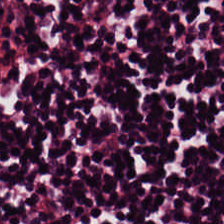Stain: H&E stain.
Predominant tissue: lymphocytes.
